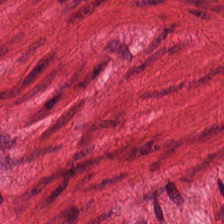This field is smooth-muscle tissue.
